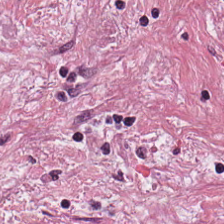Brightfield. H&E. FFPE.
{"tissue_type": "tumor-associated stroma"}
